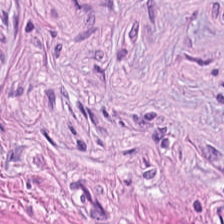224×224 px patch · H&E-stained tissue section · formalin-fixed paraffin-embedded section — Predominant tissue: smooth muscle.
